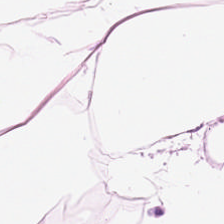H&E; 224×224 px patch; FFPE — Predominant tissue: adipose.
